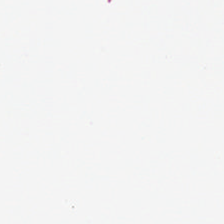Hematoxylin and eosin.
No tissue present; background only.
